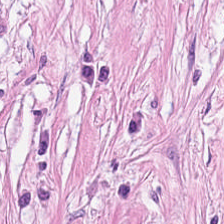Formalin-fixed paraffin-embedded section. H&E stain.
The tissue here is tumor stroma.
